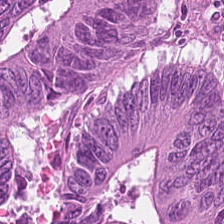H&E-stained tissue section.
Q: What is shown in this field?
A: It is colorectal adenocarcinoma.
